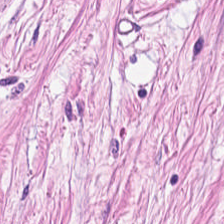224×224 px tile · FFPE · hematoxylin-and-eosin stained section. Predominantly tumor stroma.
